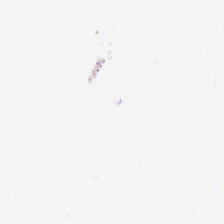Hematoxylin-and-eosin stained section — No tissue present; background only.
